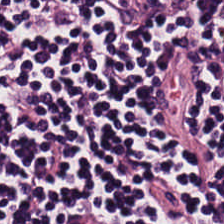H&E-stained tissue section — Predominant tissue — lymphocytic infiltrate.
